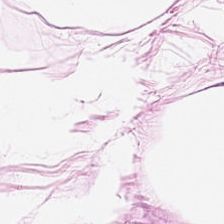H&E.
Q: What type of tissue is this?
A: Adipose tissue.
